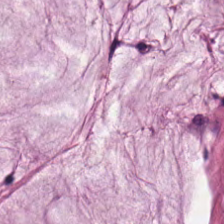Stain: H&E.
Tile size: 224×224 px patch.
Preparation: FFPE.
Tissue type: mucin.
